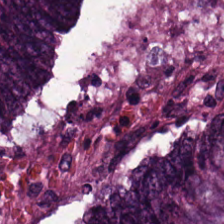H&E stain.
Impression — tumor epithelium.
